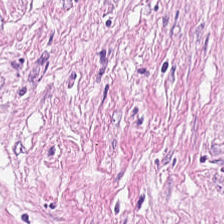224×224 px tile; brightfield; H&E stain — Predominantly tumor-associated stroma.
